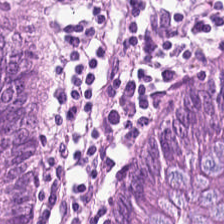Hematoxylin-and-eosin stained section · FFPE. Tissue — normal colon mucosa.
